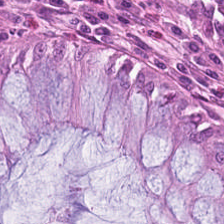0.5 µm per pixel · H&E-stained tissue section · FFPE tissue section.
Tissue type: normal colonic mucosa.
